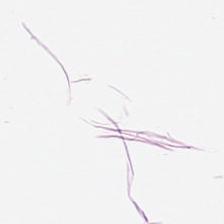Tissue type: adipose.
